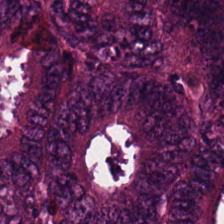H&E · 0.5 microns per pixel — The predominant tissue is adenocarcinoma.
